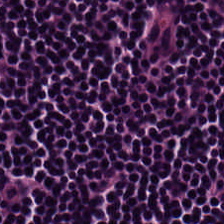H&E stain. {"tissue_type": "lymphocytes"}
